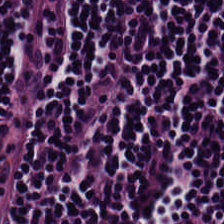Formalin-fixed paraffin-embedded section; hematoxylin and eosin. Finding → lymphocytic infiltrate.
